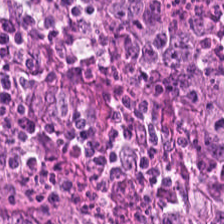20× equivalent magnification. H&E. The predominant tissue is adenocarcinoma.
